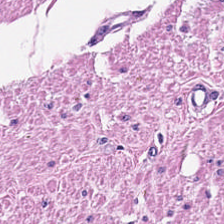H&E stain · 224×224 px tile · 20× equivalent magnification. Smooth-muscle tissue.
